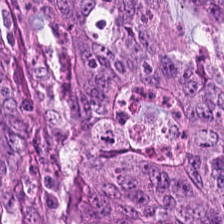Histology — malignant epithelium.
